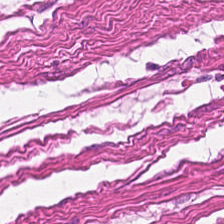H&E stain. Histology → smooth-muscle tissue.
